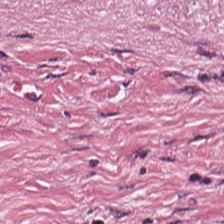Hematoxylin and eosin.
Finding — desmoplastic stroma.
